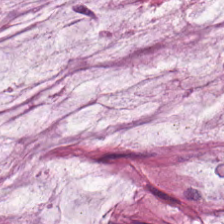Stain: H&E stain.
Tile size: 224×224 pixel tile.
Predominant tissue: mucin.
